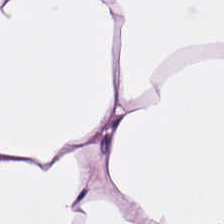H&E-stained tissue section. 0.5 µm/px — Showing adipocytes.
